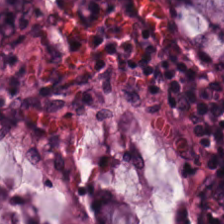H&E.
Q: Identify the tissue.
A: It is normal colon mucosa.
